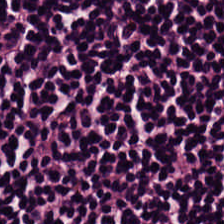The predominant tissue is lymphocyte aggregate.
